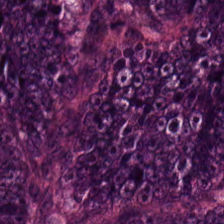Hematoxylin-and-eosin stained section.
The predominant tissue is colorectal adenocarcinoma.
